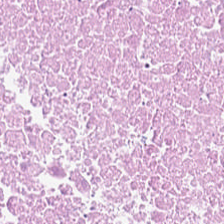Hematoxylin and eosin. Formalin-fixed paraffin-embedded section — Classification = debris.
